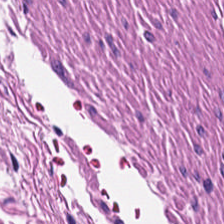Hematoxylin and eosin. Impression — smooth-muscle tissue.
